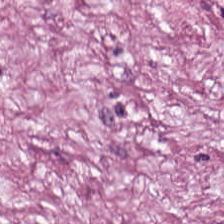H&E patch showing tumor stroma.
